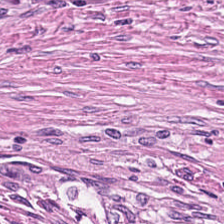Hematoxylin and eosin. 0.5 µm/px — This field is desmoplastic stroma.
